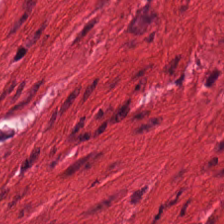Predominant tissue: muscularis.
